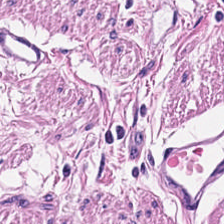H&E stain. Brightfield.
Tissue — smooth muscle.
